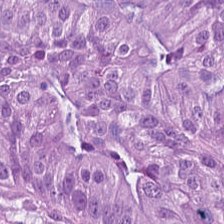H&E. Q: What tissue type is shown here?
A: The field shows colorectal adenocarcinoma epithelium.
